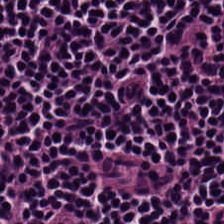H&E stain · FFPE · 224×224 px tile — Predominant tissue — lymphocytic infiltrate.
